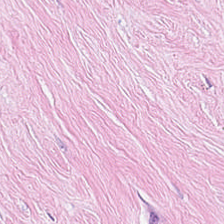H&E — The tissue is desmoplastic stroma.
